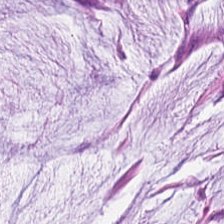Q: Identify the tissue.
A: The field shows mucus.
